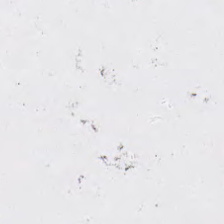Hematoxylin-and-eosin stained section.
Empty field — background.
